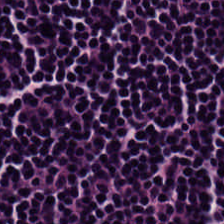Stain: hematoxylin and eosin.
Tissue type: lymphocytes.
